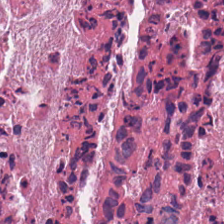Hematoxylin-and-eosin stained section. The predominant tissue is cellular debris.
